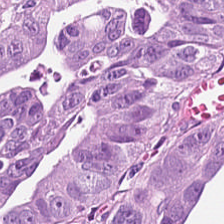The tissue here is tumor epithelium.
